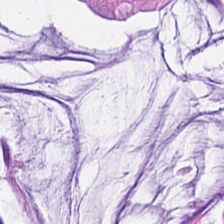H&E-stained tissue section; brightfield microscopy. Mucus.
